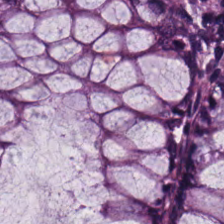Formalin-fixed paraffin-embedded section. H&E stain. Q: Classify this patch.
A: The field shows non-neoplastic colon mucosa.
